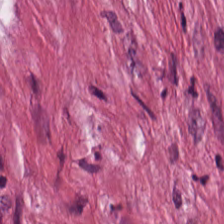Hematoxylin and eosin.
Q: Identify the tissue.
A: This is tumor stroma.
